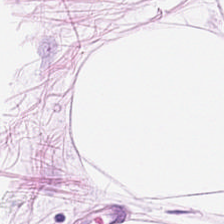This patch shows fat tissue.
